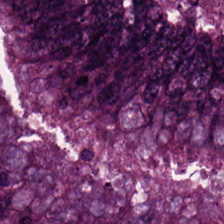Hematoxylin and eosin. This patch shows adenocarcinoma.
